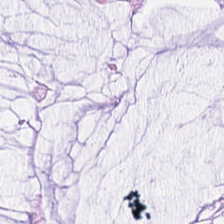H&E; 224×224 pixel tile. This patch shows mucin.
